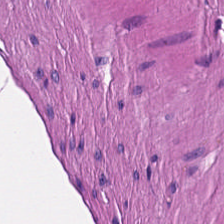Predominant tissue — muscularis.
